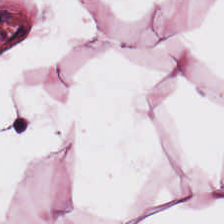Hematoxylin-and-eosin stained section. Q: What does this patch show?
A: This is adipocytes.
